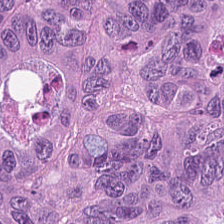H&E-stained tissue section · FFPE.
Q: What tissue type is shown here?
A: It is tumor epithelium.
